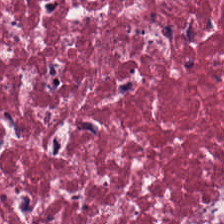224×224 px tile. 0.5 µm per pixel. Hematoxylin-and-eosin stained section — This field is desmoplastic stroma.
